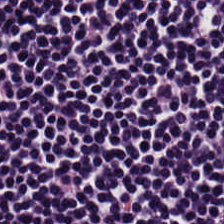Hematoxylin and eosin.
The tissue type is lymphoid infiltrate.
